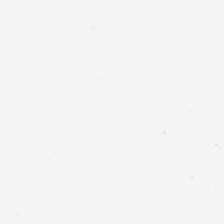H&E. This field is background (no tissue).
